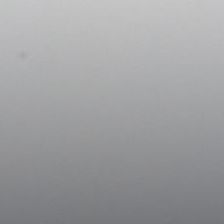Formalin-fixed paraffin-embedded section · hematoxylin and eosin · 224×224 pixel tile. {"content": "empty background"}
